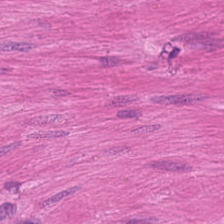224×224 px patch · brightfield · hematoxylin-and-eosin stained section.
Tissue type — muscularis.
